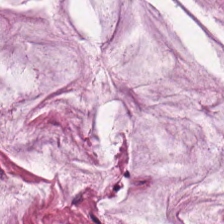Hematoxylin and eosin. Mucin.
